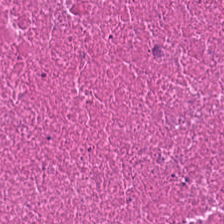Formalin-fixed paraffin-embedded section. H&E-stained tissue section — Classification — cellular debris.
